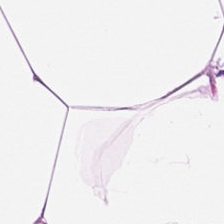Q: What is shown in this field?
A: The field shows adipose.
